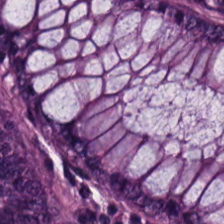Histology — benign colonic mucosa.
